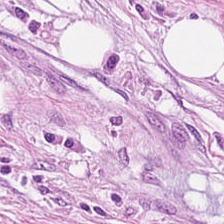H&E-stained tissue section. Tumor-associated stroma.
